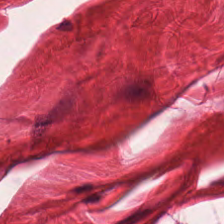H&E-stained tissue section. Showing smooth-muscle tissue.
